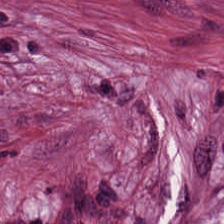Hematoxylin-and-eosin section: desmoplastic stroma.
